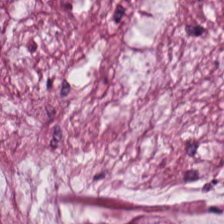H&E stain. Brightfield microscopy — Q: What is shown in this field?
A: It is extracellular mucin.
